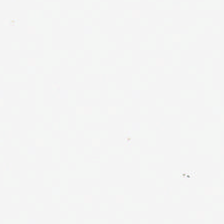Content = no tissue.
